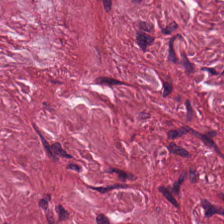Histology — cancer-associated stroma.
